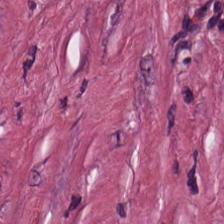Hematoxylin and eosin.
{"tissue_type": "cancer-associated stroma"}
